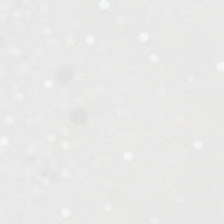Hematoxylin-and-eosin stained section.
Field content — background.
